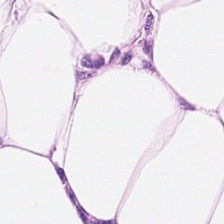Impression → fat tissue.
